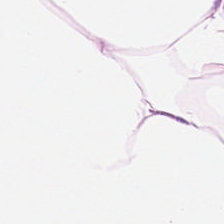Brightfield microscopy · H&E-stained tissue section · 224×224 px tile — Adipose tissue.
